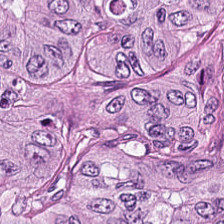0.5 µm/px. 224×224 px patch. Hematoxylin-and-eosin stained section — Q: What is the predominant tissue type?
A: This is malignant epithelium.
